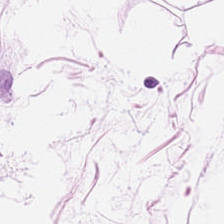Hematoxylin and eosin.
Q: What tissue type is shown here?
A: The field shows adipocytes.
